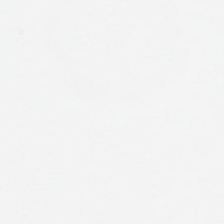Stain: hematoxylin-and-eosin stained section.
Field content: background (no tissue).
